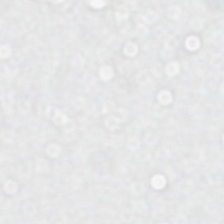FFPE · 0.5 µm per pixel · H&E-stained tissue section — Q: What is shown here?
A: The field shows background.
